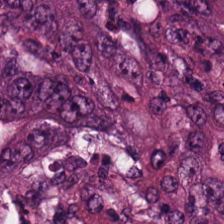Stain: H&E-stained tissue section.
Predominant tissue: colorectal adenocarcinoma.
